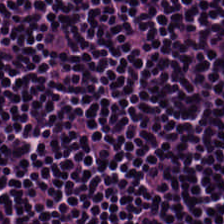Stain: hematoxylin-and-eosin stained section.
Acquisition: WSI patch.
Preparation: formalin-fixed paraffin-embedded section.
Tissue type: lymphocyte aggregate.
